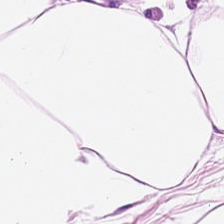224×224 px patch · hematoxylin-and-eosin stained section. This patch shows fat tissue.
